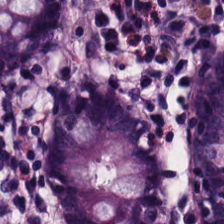Formalin-fixed paraffin-embedded section · H&E stain.
The predominant tissue is normal colonic mucosa.
